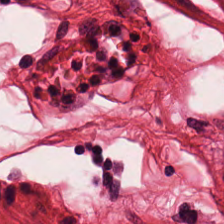Q: What is the predominant tissue type?
A: It is smooth-muscle tissue.
